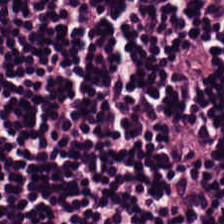Brightfield; H&E-stained tissue section — {"tissue_type": "lymphoid infiltrate"}
